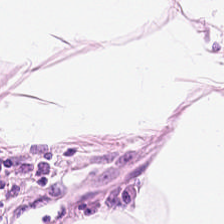Hematoxylin and eosin — Predominant tissue — adipose tissue.
